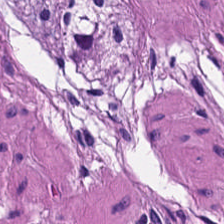{"tissue_type": "smooth-muscle tissue"}
